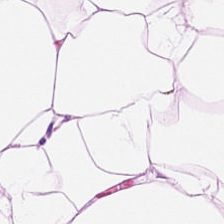Whole-slide-image patch. H&E stain — The tissue here is adipose.
